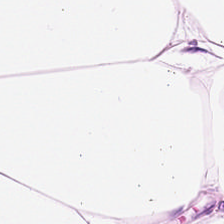224×224 px tile · H&E. The predominant tissue is adipocytes.
